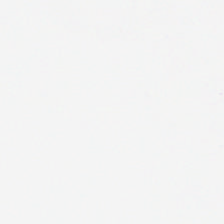Stain: hematoxylin and eosin.
Classification: background.
